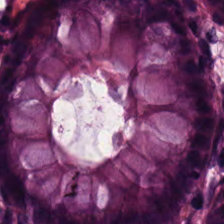Tissue type = non-neoplastic colon mucosa.
